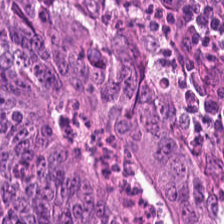Q: What is the predominant tissue type?
A: This is colorectal adenocarcinoma epithelium.
